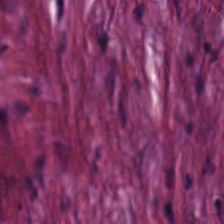224×224 px tile. Hematoxylin and eosin.
Finding → tumor-associated stroma.
